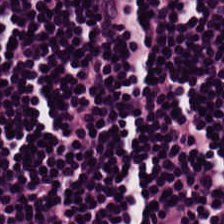Hematoxylin-and-eosin section: lymphoid infiltrate.
